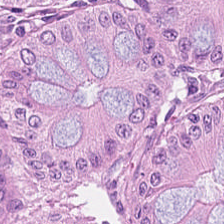H&E; WSI patch.
Q: What type of tissue is this?
A: It is benign colonic mucosa.
